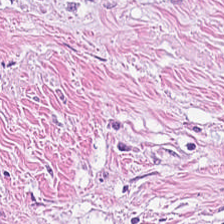Stain: H&E-stained tissue section.
Tissue: cancer-associated stroma.
